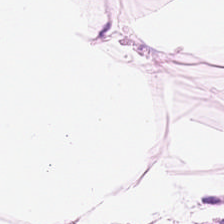Hematoxylin-and-eosin stained section.
Tissue: adipose tissue.
